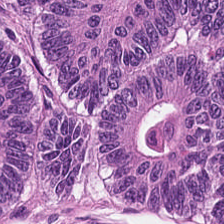Hematoxylin-and-eosin section: colorectal adenocarcinoma epithelium.
